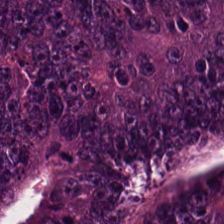H&E stain — {"tissue_type": "colorectal adenocarcinoma epithelium"}
